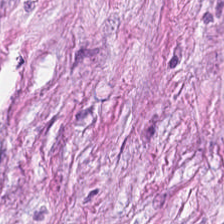Tissue = cancer-associated stroma.
